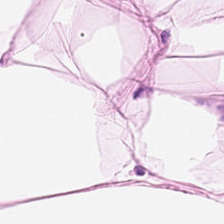Hematoxylin-and-eosin stained section — Adipose.
